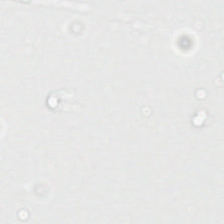Stain: hematoxylin and eosin.
Content: background.
